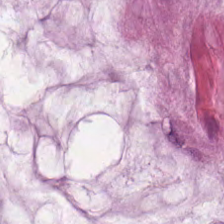FFPE tissue section; H&E. {"tissue_type": "extracellular mucin"}
